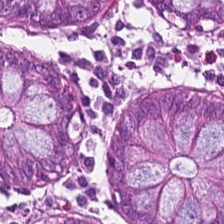Hematoxylin and eosin. Formalin-fixed paraffin-embedded section — The tissue here is benign colonic mucosa.
